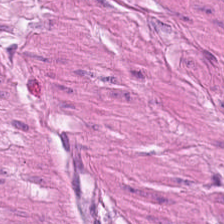FFPE tissue section; H&E-stained tissue section. The tissue is smooth-muscle tissue.
